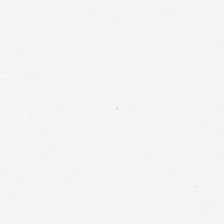224×224 px tile. Hematoxylin and eosin — This field is background (no tissue).
